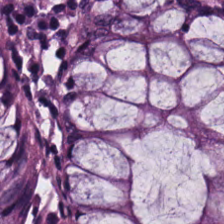H&E.
The predominant tissue is normal colon mucosa.
